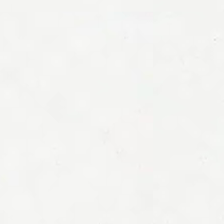Stain: H&E-stained tissue section.
Tile size: 224×224 pixel tile.
Preparation: FFPE.
Field content: no tissue.
